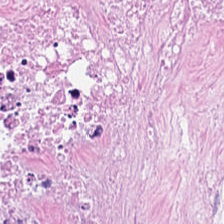Stain: H&E.
Resolution: 0.5 µm/px.
Preparation: formalin-fixed paraffin-embedded section.
Tissue: cellular debris.
